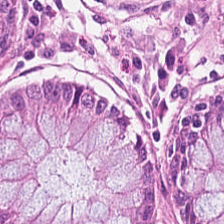Hematoxylin-and-eosin stained section — The tissue here is normal colon mucosa.
